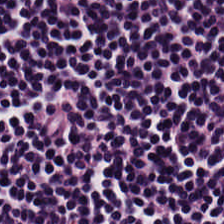Stain: H&E.
Tissue type: lymphocyte aggregate.
